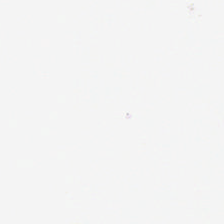The classification is background (no tissue).
